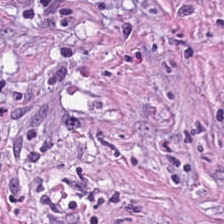The classification is desmoplastic stroma.
